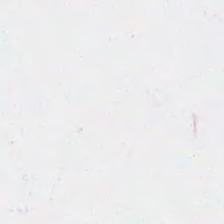H&E.
This patch shows empty background.
